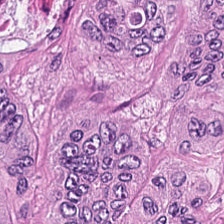Hematoxylin and eosin — The predominant tissue is colorectal adenocarcinoma.
